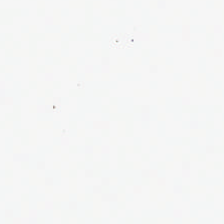Stain: hematoxylin and eosin.
Tile size: 224×224 px patch.
Resolution: 0.5 µm/px.
Content: empty background.
